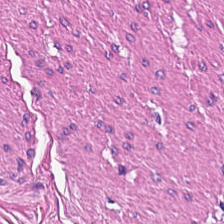Classification — smooth-muscle tissue.
